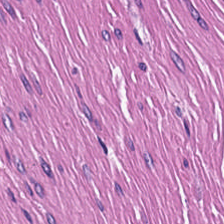Hematoxylin and eosin; 0.5 µm/px; 224×224 px tile. This patch shows smooth-muscle tissue.
